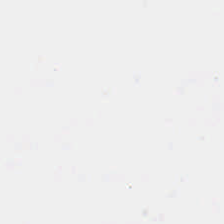224×224 px tile · H&E-stained tissue section — No tissue.
